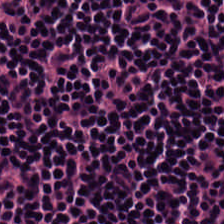Stain: H&E.
Tissue: lymphocytes.
